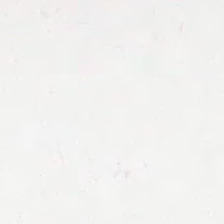H&E stain — This field is background (no tissue).
